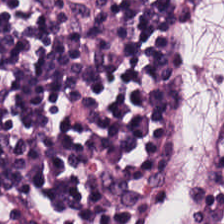Histology → lymphocytic infiltrate.
